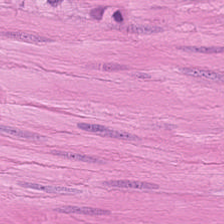H&E stain. Impression — smooth-muscle tissue.
